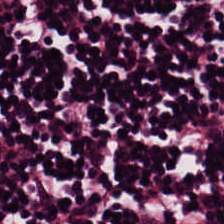H&E-stained tissue section. The classification is lymphocytes.
